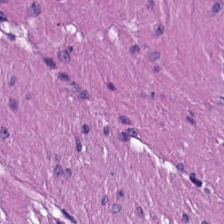Hematoxylin and eosin — Finding → muscularis.
